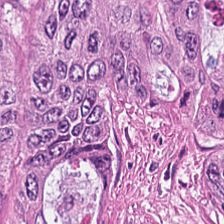H&E. Classification — tumor epithelium.
